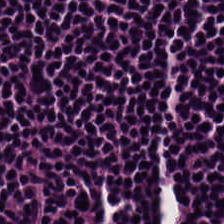Stain: H&E stain.
Classification: lymphocytes.
